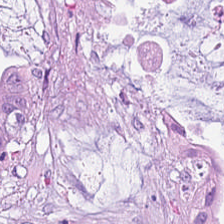0.5 microns per pixel; hematoxylin-and-eosin stained section.
Tissue class = mucin.
